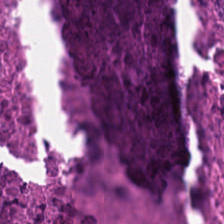Finding → necrotic debris.
